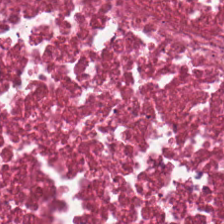H&E-stained tissue section; 224×224 px patch — The tissue here is necrotic debris.
